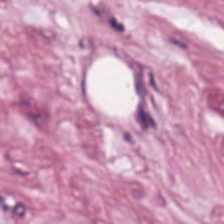H&E; whole-slide-image patch; FFPE.
Showing tumor stroma.
